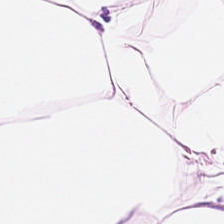Impression → adipocytes.
